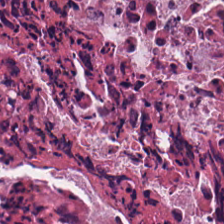Q: What type of tissue is this?
A: This is necrotic debris.
